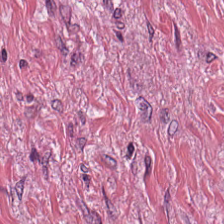0.5 microns per pixel. H&E. Whole-slide-image patch.
This field is tumor-associated stroma.
